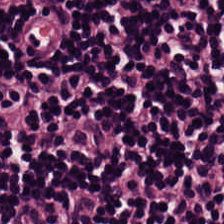{"tissue_type": "lymphocytic infiltrate"}
